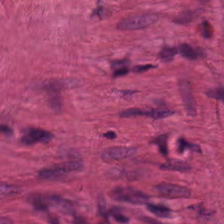Stain: H&E stain.
Classification: smooth-muscle tissue.
